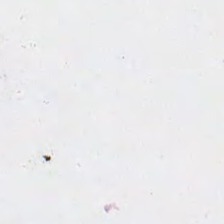Hematoxylin-and-eosin stained section. Empty field — empty background.
